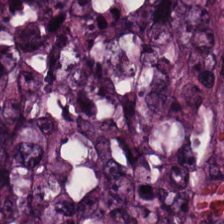Finding → malignant epithelium.
